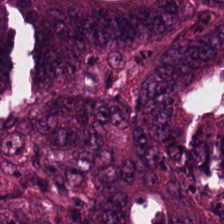Predominantly colorectal adenocarcinoma.
